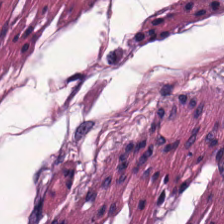Stain: H&E-stained tissue section.
Resolution: 0.5 µm per pixel.
Preparation: formalin-fixed paraffin-embedded section.
Tissue type: smooth muscle.
